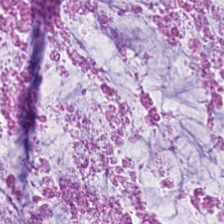224×224 px tile; H&E-stained tissue section.
This patch shows extracellular mucin.
